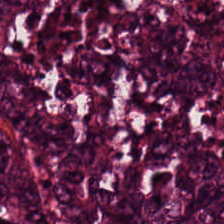Whole-slide-image patch. H&E-stained tissue section. 0.5 µm/px — Predominantly colorectal adenocarcinoma.
